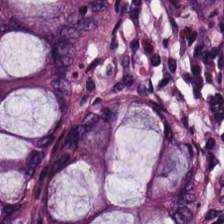Hematoxylin and eosin. The tissue type is normal colon mucosa.
